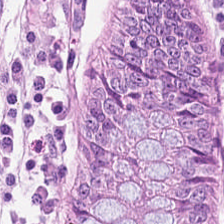Normal colon mucosa.
